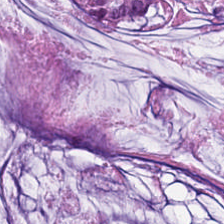H&E-stained tissue section; 224×224 px patch — Histology — mucin.
